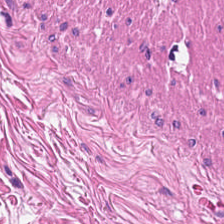Hematoxylin and eosin.
Tissue type = smooth muscle.
